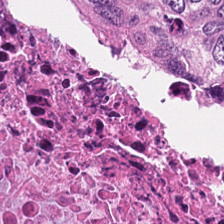224×224 pixel tile · WSI patch · H&E-stained tissue section.
Q: Identify the tissue.
A: The field shows necrotic debris.
